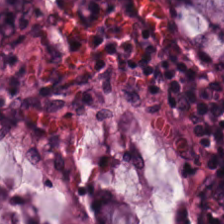Stain: H&E.
Preparation: formalin-fixed paraffin-embedded section.
Predominant tissue: normal colon mucosa.
